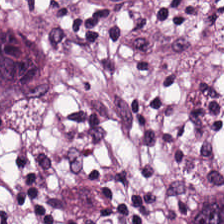Tissue type: cancer-associated stroma.
